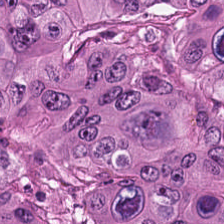Tissue class: adenocarcinoma.
